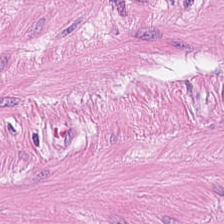Q: What tissue type is shown here?
A: This is smooth-muscle tissue.
